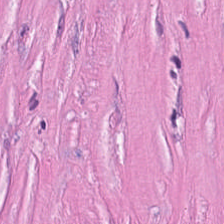H&E — Q: What does this patch show?
A: The field shows cancer-associated stroma.
